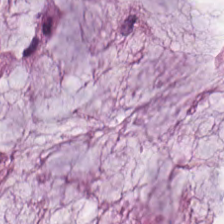H&E. Tissue = mucin.
